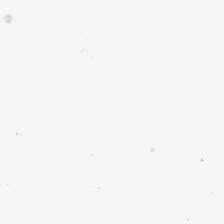0.5 µm per pixel · H&E.
Impression → background (no tissue).
